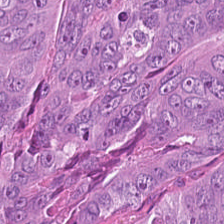Predominant tissue: adenocarcinoma.
